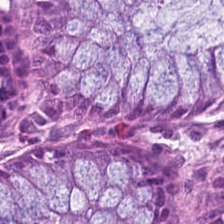Stain: hematoxylin-and-eosin stained section.
Tissue: normal colon mucosa.
